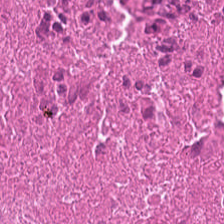H&E.
Predominantly cellular debris.
